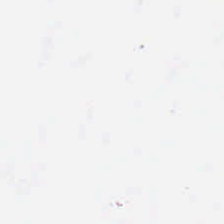H&E-stained tissue section. 224×224 px patch — The field content is no tissue.
